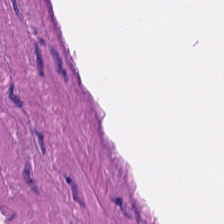Histology — smooth-muscle tissue.
